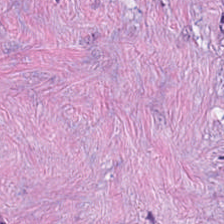Hematoxylin-and-eosin section: tumor stroma.
